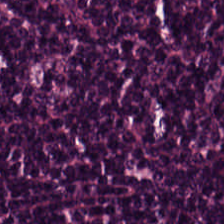H&E-stained tissue section. 20× equivalent magnification.
Showing lymphocytes.
